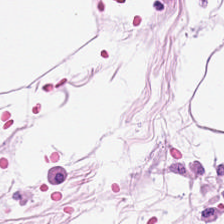Hematoxylin-and-eosin stained section · whole-slide-image patch.
Showing adipose tissue.
